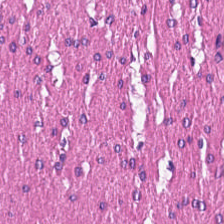Finding → muscularis.
